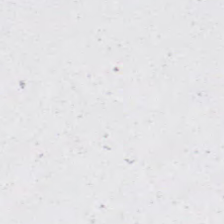Hematoxylin and eosin. 224×224 px patch. This field is background (no tissue).
